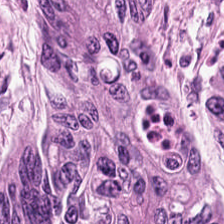Showing colorectal adenocarcinoma.
